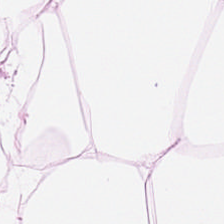Histology — adipocytes.
